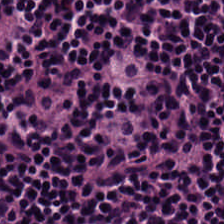The tissue is lymphocytic infiltrate.
